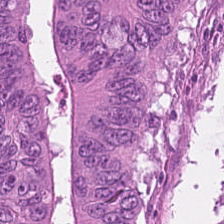FFPE. H&E-stained tissue section.
Showing tumor epithelium.
